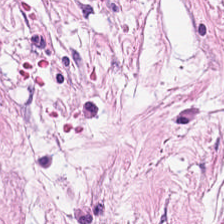FFPE. Hematoxylin-and-eosin stained section.
{"tissue_type": "cancer-associated stroma"}
